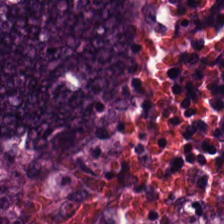H&E · 0.5 µm/px — The tissue class is colorectal adenocarcinoma epithelium.
